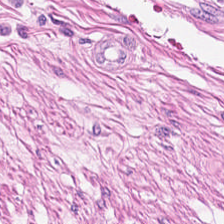224×224 px tile · hematoxylin-and-eosin stained section · 0.5 microns per pixel — Tissue class = smooth-muscle tissue.
